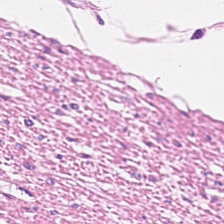Q: What is the predominant tissue type?
A: This is smooth-muscle tissue.
